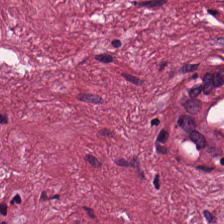H&E stain; 0.5 microns per pixel; whole-slide-image patch — Q: What tissue is shown?
A: Cancer-associated stroma.
